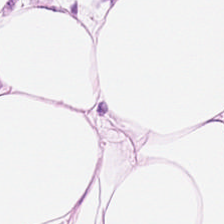224×224 px patch; brightfield; hematoxylin and eosin — Q: What is the predominant tissue type?
A: It is fat tissue.
